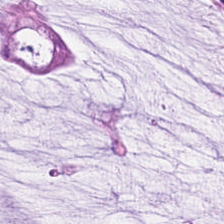H&E stain.
{"tissue_type": "extracellular mucin"}
